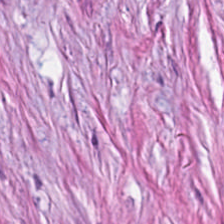H&E-stained tissue section — Predominant tissue: desmoplastic stroma.
